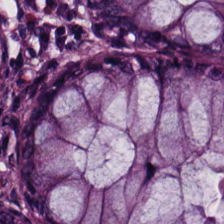{"tissue_type": "normal colon mucosa"}
